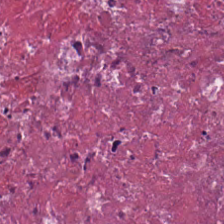Stain: H&E stain.
Tissue type: debris.
